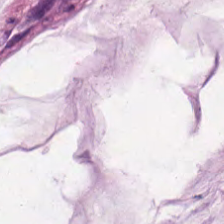Stain: hematoxylin and eosin.
Tissue type: extracellular mucin.
